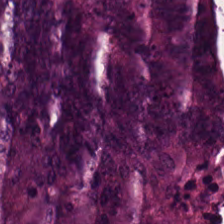Hematoxylin-and-eosin stained section. Brightfield microscopy. Finding — colorectal adenocarcinoma epithelium.
